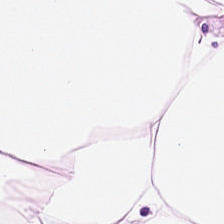Stain: H&E-stained tissue section.
Predominant tissue: adipose.
